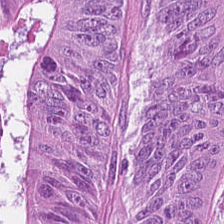Tissue type — colorectal adenocarcinoma epithelium.
